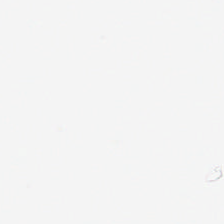Finding — background.
